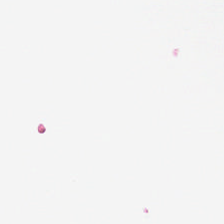Hematoxylin and eosin. Classification = background (no tissue).
